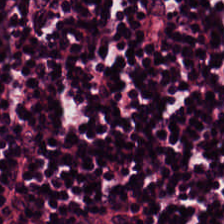Hematoxylin and eosin. {"tissue_type": "lymphocytes"}
